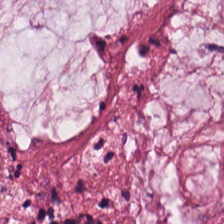Hematoxylin and eosin — Tissue class — mucus.
